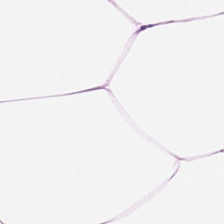{"tissue_type": "adipose tissue"}
